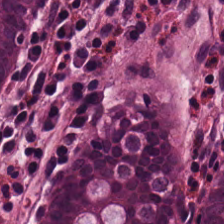224×224 px tile; H&E-stained tissue section; WSI patch.
Impression → normal colon mucosa.
